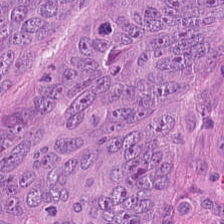Stain: H&E stain.
Tile size: 224×224 px tile.
Tissue class: malignant epithelium.
